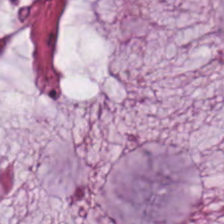FFPE · hematoxylin-and-eosin stained section. Mucin.
